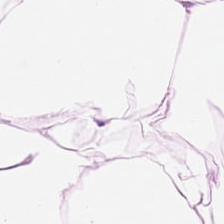H&E patch showing adipose tissue.
